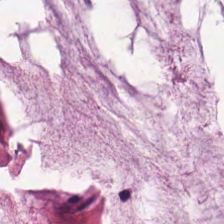Histology — extracellular mucin.
